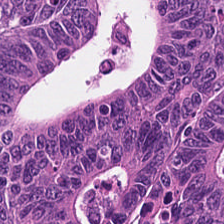Whole-slide-image patch; 0.5 microns per pixel; hematoxylin-and-eosin stained section.
Showing colorectal adenocarcinoma epithelium.
